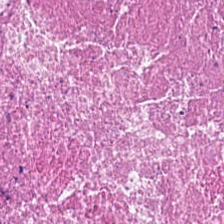Q: What tissue type is shown here?
A: This is debris.
